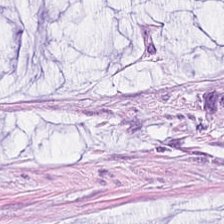Tissue type = extracellular mucin.
